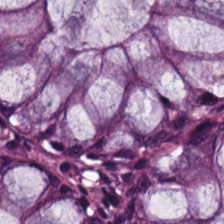224×224 pixel tile. H&E-stained tissue section — Normal colonic mucosa.
